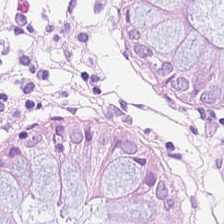H&E-stained tissue section. 224×224 px tile. This patch shows benign colonic mucosa.
